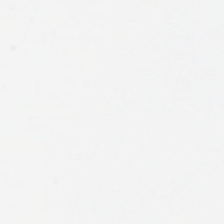Formalin-fixed paraffin-embedded section · H&E stain · 224×224 pixel tile. This field is background (no tissue).
